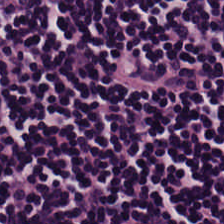Hematoxylin-and-eosin stained section. Formalin-fixed paraffin-embedded section — {"tissue_type": "lymphocytes"}
